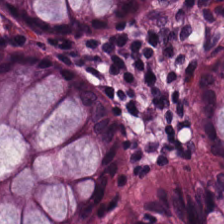Hematoxylin-and-eosin stained section. 0.5 µm/px. 224×224 px patch — Finding → non-neoplastic colon mucosa.
